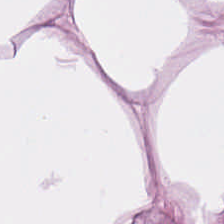H&E-stained tissue section. Q: What does this patch show?
A: The field shows adipose tissue.
